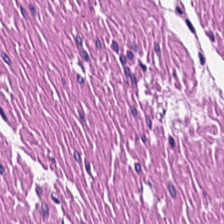H&E-stained tissue section.
Q: What type of tissue is this?
A: The field shows smooth muscle.
